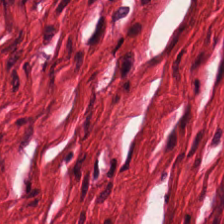Hematoxylin-and-eosin stained section. Q: What is shown in this field?
A: This is muscularis.
